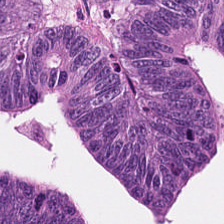H&E.
Finding — tumor epithelium.
